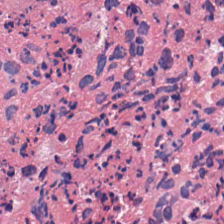Hematoxylin and eosin. Q: What tissue type is shown here?
A: The field shows necrotic debris.
